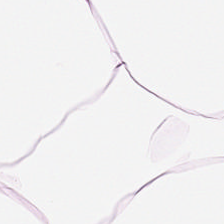H&E stain. Q: What is shown in this field?
A: The field shows adipose tissue.
